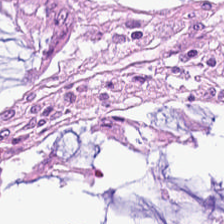Hematoxylin and eosin · 224×224 px tile — {"tissue_type": "normal colon mucosa"}
